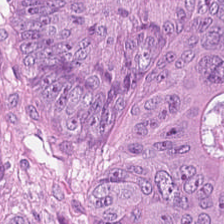224×224 px tile. Hematoxylin-and-eosin stained section.
Classification: malignant epithelium.
